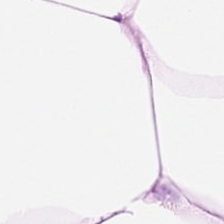Hematoxylin-and-eosin section: fat tissue.
